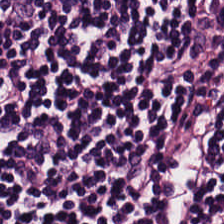0.5 microns per pixel; 224×224 pixel tile; H&E stain.
Lymphoid infiltrate.
